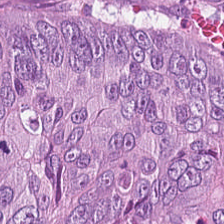Stain: hematoxylin and eosin.
Preparation: FFPE.
Tissue: colorectal adenocarcinoma epithelium.
